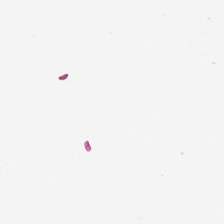H&E stain — Histology → background (no tissue).
